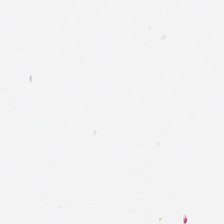H&E — Content — empty background.
